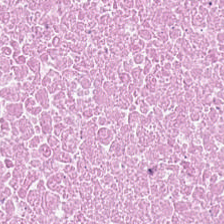224×224 px tile · H&E stain.
Finding → debris.
